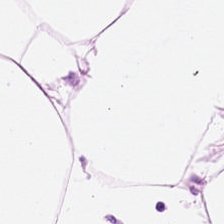224×224 px tile. FFPE tissue section. H&E stain. The tissue here is adipose.
